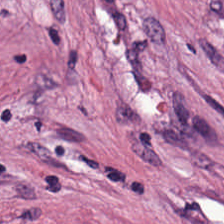H&E stain — Tissue = desmoplastic stroma.
